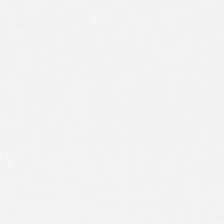Stain: H&E-stained tissue section.
Field content: background.
